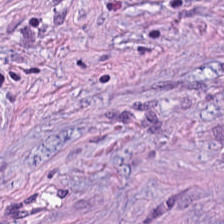H&E stain — Q: What type of tissue is this?
A: It is cancer-associated stroma.
